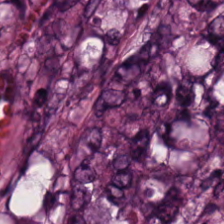Predominant tissue — malignant epithelium.
